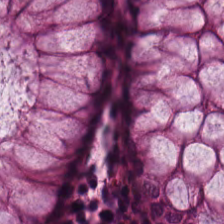Hematoxylin-and-eosin stained section. The classification is benign colonic mucosa.
